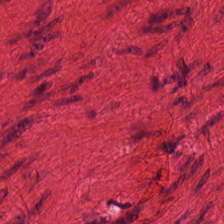H&E stain. Finding → muscularis.
